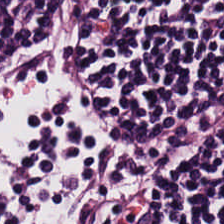Formalin-fixed paraffin-embedded section. Hematoxylin and eosin. 0.5 µm/px. Lymphocytes.
